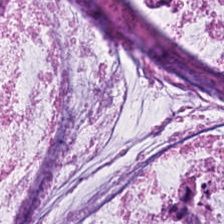FFPE. H&E. Classification = mucin.
